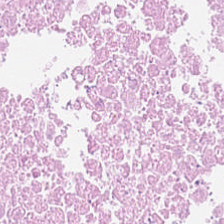Brightfield microscopy · H&E-stained tissue section. {"tissue_type": "necrotic debris"}
